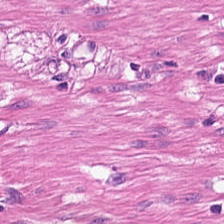Q: Classify this patch.
A: The field shows muscularis.
